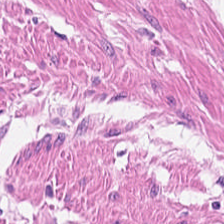224×224 px tile · hematoxylin-and-eosin stained section.
Tissue type: muscularis.
